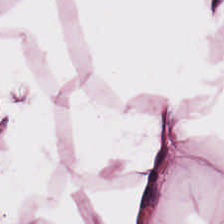H&E — Histology → adipocytes.
